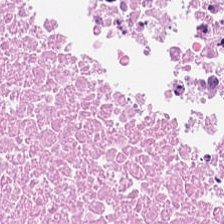H&E-stained tissue section.
This patch shows debris.
